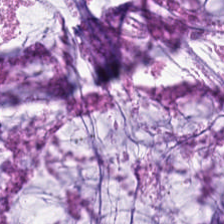Hematoxylin-and-eosin stained section; formalin-fixed paraffin-embedded section; WSI patch.
{"tissue_type": "extracellular mucin"}
